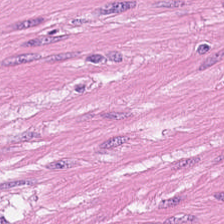Q: What is shown here?
A: It is smooth-muscle tissue.
